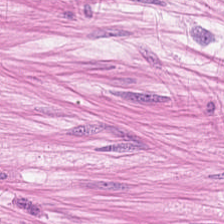Impression — muscularis.
